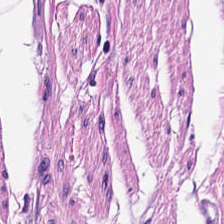Hematoxylin and eosin.
{"tissue_type": "muscularis"}
